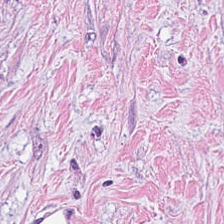H&E-stained tissue section · brightfield microscopy.
Finding → tumor stroma.
